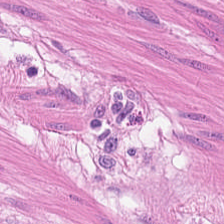Hematoxylin and eosin — Q: Classify this patch.
A: This is smooth muscle.
